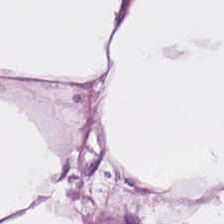Tissue — adipocytes.
